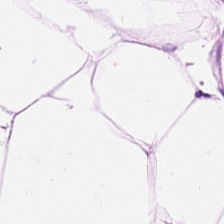Classification — adipose tissue.
